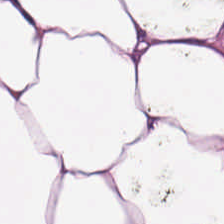Hematoxylin and eosin. Showing adipose.
